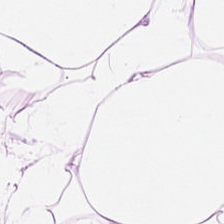224×224 px tile. H&E.
Q: What is shown here?
A: The field shows adipocytes.
